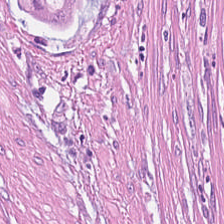224×224 pixel tile; hematoxylin-and-eosin stained section — Predominantly desmoplastic stroma.
